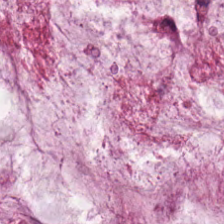0.5 µm per pixel · hematoxylin and eosin — Histology → mucin.
